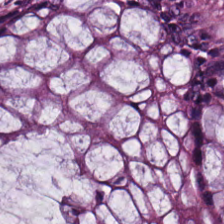H&E; brightfield microscopy — The tissue is benign colonic mucosa.
